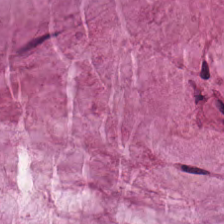Stain: hematoxylin and eosin.
Classification: mucus.
